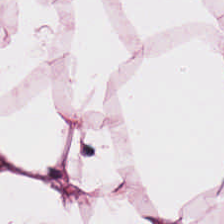Whole-slide-image patch; H&E stain; FFPE tissue section.
Predominant tissue: adipocytes.
